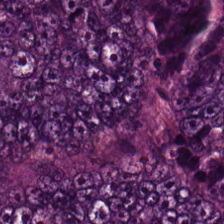20× equivalent magnification; hematoxylin-and-eosin stained section — Colorectal adenocarcinoma.
